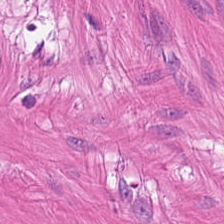The tissue type is muscularis.
